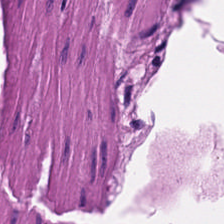H&E.
Tissue = smooth-muscle tissue.
